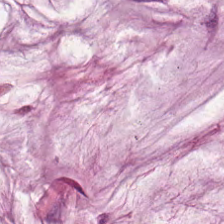224×224 px tile; H&E stain.
Predominant tissue = mucus.
